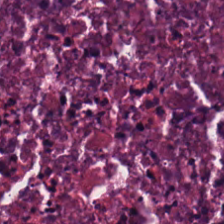224×224 px tile. Hematoxylin-and-eosin stained section. The predominant tissue is debris.
